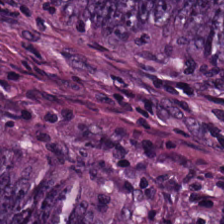H&E-stained tissue section.
Q: What is shown here?
A: Colorectal adenocarcinoma.
